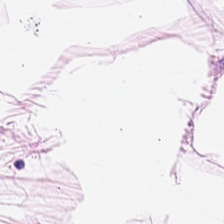0.5 µm/px. Hematoxylin-and-eosin stained section. Formalin-fixed paraffin-embedded section.
This patch shows adipocytes.
